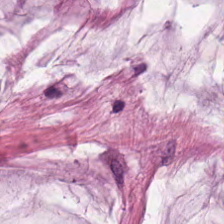H&E stain; 224×224 px tile.
{"tissue_type": "mucin"}
